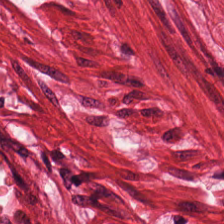Stain: H&E.
Preparation: FFPE tissue section.
Tissue type: smooth muscle.
